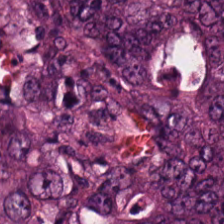Stain: H&E stain.
Tissue class: colorectal adenocarcinoma epithelium.
